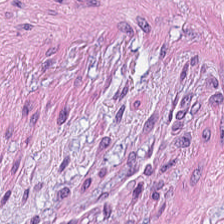H&E stain · brightfield microscopy.
Tissue — tumor-associated stroma.
